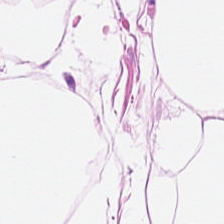H&E stain.
Showing adipocytes.
